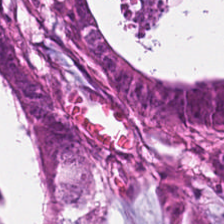H&E-stained tissue section. Classification: colorectal adenocarcinoma epithelium.
